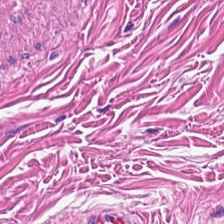Tissue: muscularis.
